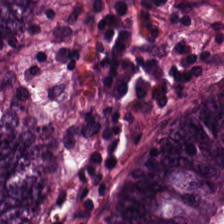Hematoxylin-and-eosin stained section.
This field is tumor epithelium.
